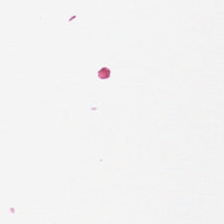Content: no tissue.
